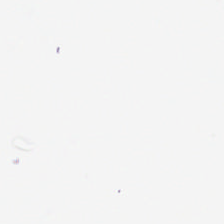H&E-stained tissue section.
Q: Classify this patch.
A: It is empty background.
